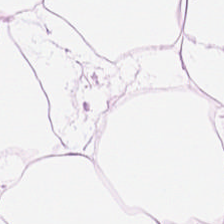H&E; 224×224 px tile — Tissue — adipocytes.
